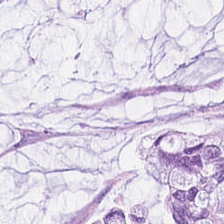H&E-stained tissue section — The tissue here is extracellular mucin.
